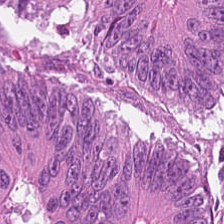20× equivalent magnification · 224×224 px patch · hematoxylin and eosin.
Tumor epithelium.
